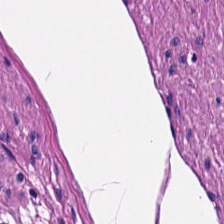The tissue class is muscularis.
